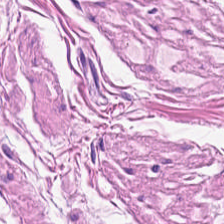0.5 µm/px · hematoxylin-and-eosin stained section — Finding — muscularis.
